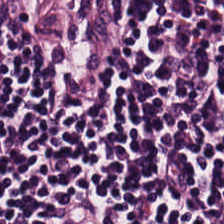H&E-stained tissue section.
This patch shows lymphocyte aggregate.
